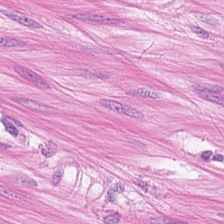Hematoxylin-and-eosin stained section. Classification — muscularis.
